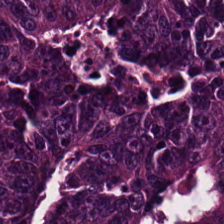Hematoxylin-and-eosin stained section. Tissue type = malignant epithelium.
